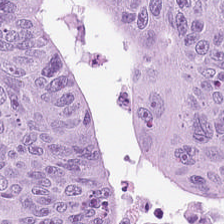Stain: hematoxylin-and-eosin stained section.
Resolution: 20× equivalent magnification.
Tissue type: malignant epithelium.
